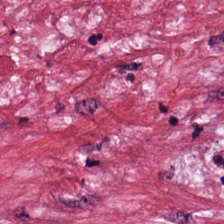H&E-stained tissue section.
{"tissue_type": "tumor-associated stroma"}
